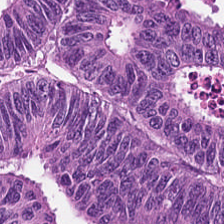Hematoxylin and eosin · 20× equivalent magnification · FFPE tissue section — Q: Identify the tissue.
A: The field shows colorectal adenocarcinoma.
